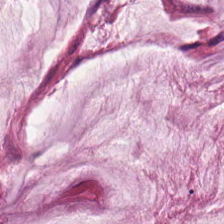H&E-stained tissue section.
The predominant tissue is extracellular mucin.
